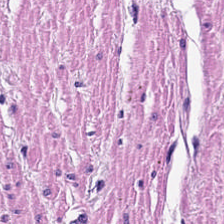H&E stain. Classification = muscularis.
